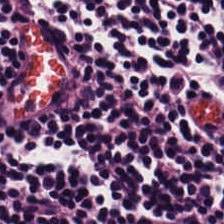H&E-stained tissue section.
Lymphocyte aggregate.
